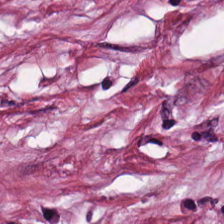Q: What does this patch show?
A: This is tumor stroma.
